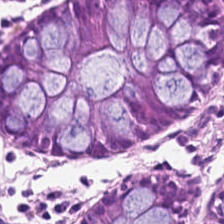Hematoxylin and eosin. Predominantly non-neoplastic colon mucosa.
